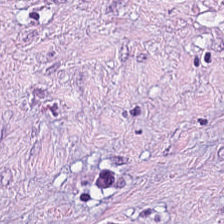The tissue class is tumor-associated stroma.
